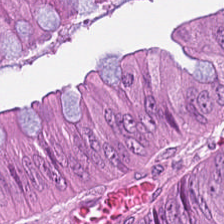Stain: hematoxylin and eosin.
Predominant tissue: malignant epithelium.
